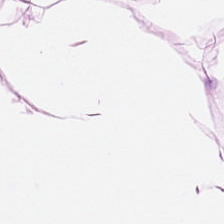Stain: hematoxylin and eosin.
Tissue class: adipose.
